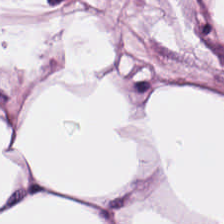H&E-stained tissue section · FFPE · brightfield.
Predominant tissue: adipocytes.
